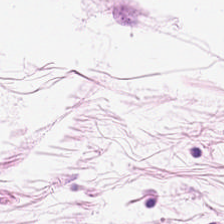The tissue class is adipose tissue.
